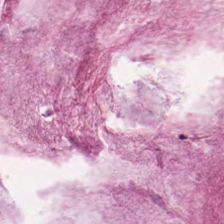Formalin-fixed paraffin-embedded section · H&E · 20× equivalent magnification.
Q: Identify the tissue.
A: The field shows extracellular mucin.
